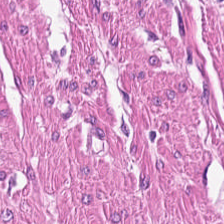H&E stain. The predominant tissue is smooth muscle.
